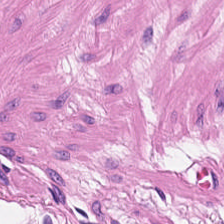Hematoxylin and eosin — {"tissue_type": "smooth-muscle tissue"}
